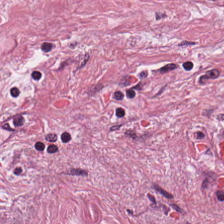Hematoxylin-and-eosin stained section; 224×224 px patch — Predominantly tumor-associated stroma.
